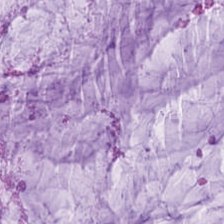Stain: H&E stain.
Tissue class: extracellular mucin.
